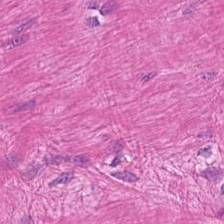H&E.
Showing smooth-muscle tissue.
